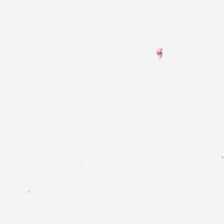The field content is background.
